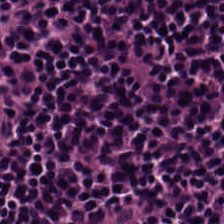The tissue here is lymphocytic infiltrate.
